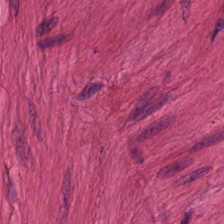H&E; 224×224 pixel tile. Impression → smooth-muscle tissue.
